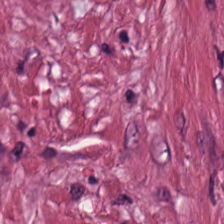H&E.
Impression → tumor stroma.
